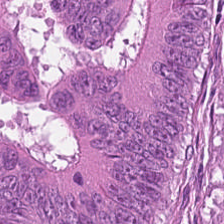Stain: hematoxylin-and-eosin stained section.
Tissue class: colorectal adenocarcinoma.
